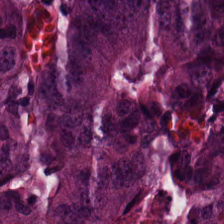H&E stain.
This patch shows malignant epithelium.
